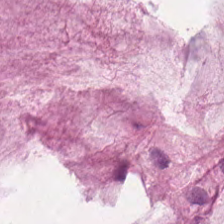H&E · 224×224 px patch — Q: What does this patch show?
A: It is extracellular mucin.
